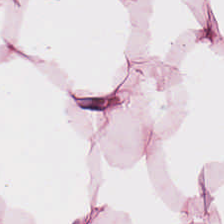H&E — Q: Classify this patch.
A: It is fat tissue.
